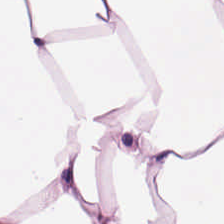Hematoxylin and eosin.
Classification — adipocytes.
